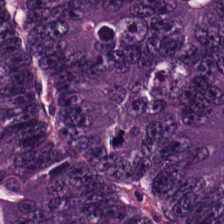Hematoxylin-and-eosin stained section — Q: Classify this patch.
A: The field shows tumor epithelium.
